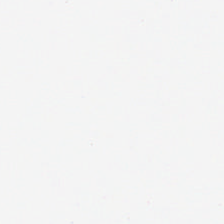This patch shows background (no tissue).
